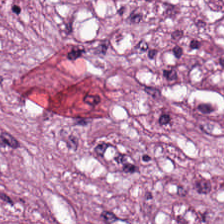H&E — Q: What does this patch show?
A: It is tumor stroma.
